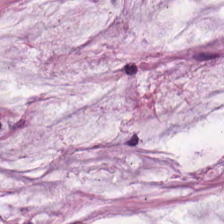H&E stain. The tissue class is mucin.
